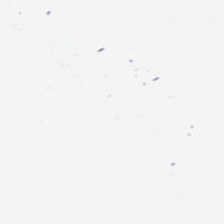H&E; FFPE tissue section — Empty field — empty background.
